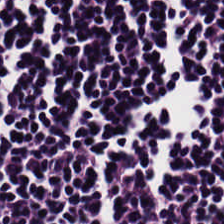H&E-stained tissue section — Showing lymphoid infiltrate.
